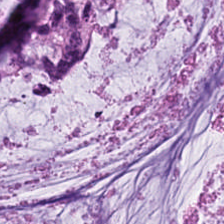H&E. {"tissue_type": "mucin"}
